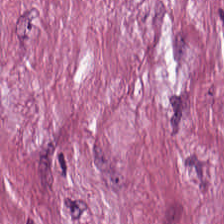Stain: H&E-stained tissue section.
Classification: desmoplastic stroma.
